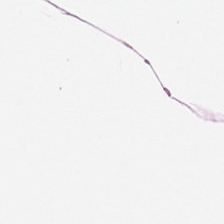This patch shows adipocytes.
